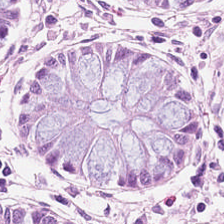Stain: hematoxylin and eosin.
Resolution: 0.5 µm/px.
Tissue type: normal colon mucosa.
